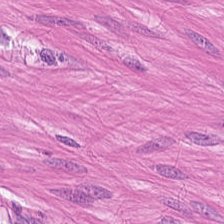H&E-stained tissue section — Predominant tissue — smooth muscle.
